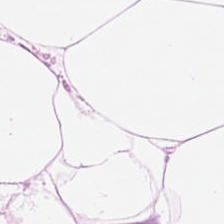0.5 µm per pixel; hematoxylin and eosin; FFPE tissue section — Tissue = adipose tissue.
